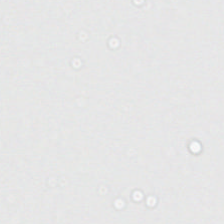0.5 µm/px; H&E-stained tissue section — No tissue present; background only.
